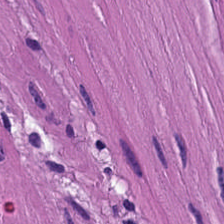H&E-stained tissue section. Classification: smooth muscle.
